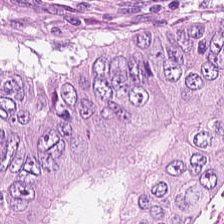H&E stain · whole-slide-image patch · FFPE. Q: What type of tissue is this?
A: The field shows colorectal adenocarcinoma.
